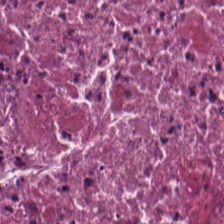H&E-stained tissue section. 20× equivalent magnification. Tissue class = cellular debris.
